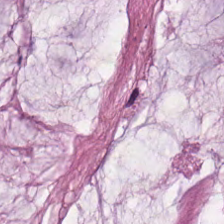Stain: H&E.
Tissue: extracellular mucin.
